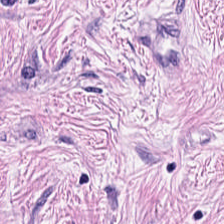H&E-stained tissue section; 224×224 px tile; WSI patch. Tumor stroma.
